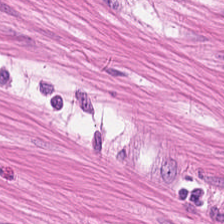224×224 pixel tile · H&E-stained tissue section — Impression — muscularis.
